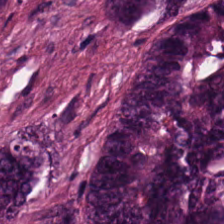The tissue class is colorectal adenocarcinoma epithelium.
